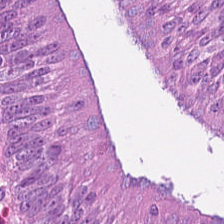H&E patch showing colorectal adenocarcinoma epithelium.
